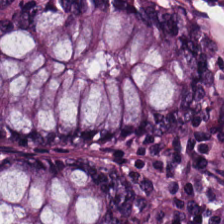H&E stain. Tissue: normal colonic mucosa.
